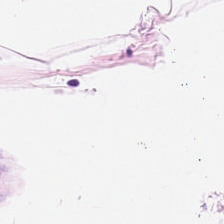Predominant tissue = adipocytes.
